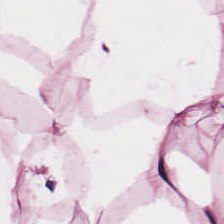Hematoxylin and eosin.
Q: What tissue type is shown here?
A: This is fat tissue.
